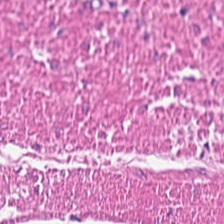{"tissue_type": "muscularis"}
